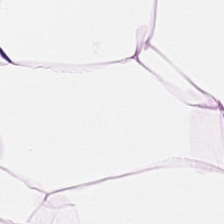H&E stain. {"tissue_type": "adipose"}
